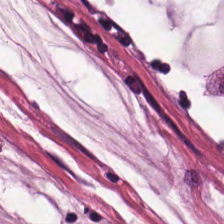FFPE tissue section. 224×224 px tile. H&E — Showing mucus.
